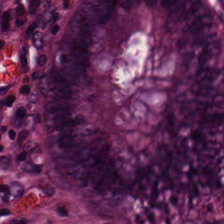H&E · FFPE tissue section.
Q: Classify this patch.
A: This is normal colon mucosa.
